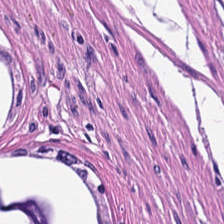Stain: H&E-stained tissue section.
Tissue type: muscularis.
